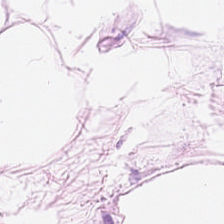Whole-slide-image patch · H&E — Predominant tissue = adipose tissue.
